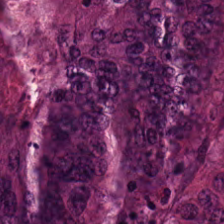H&E stain. FFPE tissue section — The predominant tissue is tumor epithelium.
